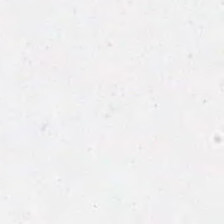20× equivalent magnification · hematoxylin and eosin.
This patch shows empty background.
